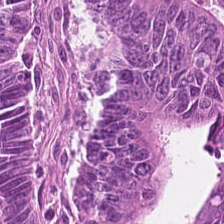Hematoxylin and eosin — The tissue type is colorectal adenocarcinoma.
